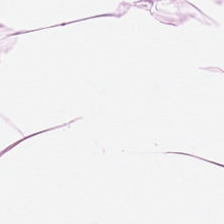Stain: hematoxylin-and-eosin stained section.
Preparation: FFPE.
Tissue: adipose.
